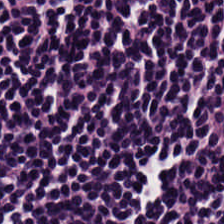224×224 px tile; H&E — The tissue here is lymphocytic infiltrate.
